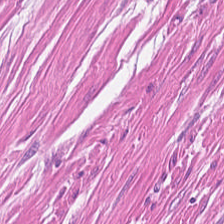Q: Classify this patch.
A: The field shows smooth-muscle tissue.
